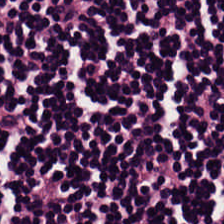Q: What is shown here?
A: It is lymphocytic infiltrate.
